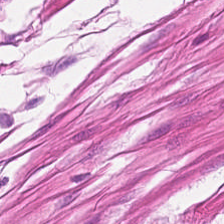H&E-stained tissue section — Predominantly muscularis.
